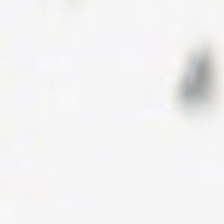Hematoxylin-and-eosin stained section. Formalin-fixed paraffin-embedded section.
Empty field — background (no tissue).
